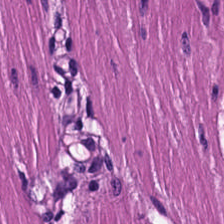Hematoxylin and eosin.
Muscularis.
